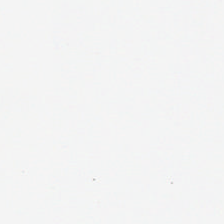Hematoxylin-and-eosin stained section — Empty field — background.
